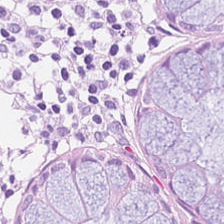224×224 px patch · H&E stain — The tissue here is normal colonic mucosa.
